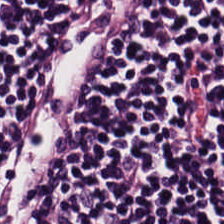0.5 microns per pixel · H&E stain. Q: What does this patch show?
A: Lymphoid infiltrate.
